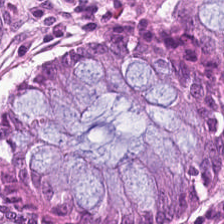224×224 px patch. H&E stain. Tissue type — normal colon mucosa.
